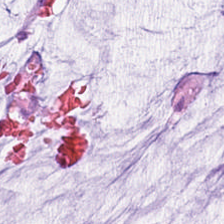H&E-stained tissue section.
This field is mucin.
